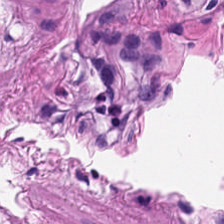H&E stain. The classification is smooth-muscle tissue.
